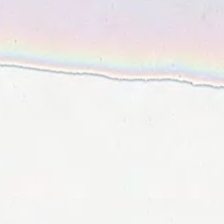This field is background (no tissue).
